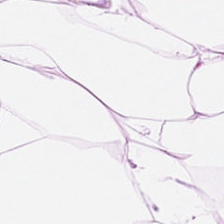H&E. 0.5 µm per pixel. {"tissue_type": "adipocytes"}
